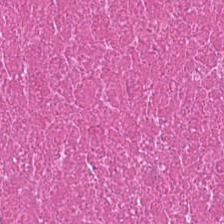Hematoxylin-and-eosin stained section. Predominantly necrotic debris.
